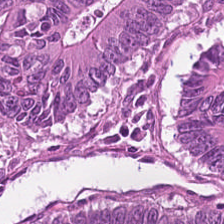Whole-slide-image patch · hematoxylin-and-eosin stained section — Impression — adenocarcinoma.
